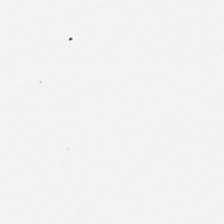H&E — Classification = empty background.
